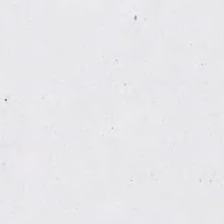Hematoxylin and eosin. The classification is background.
